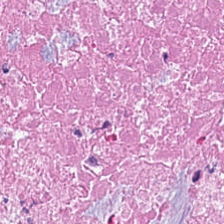The classification is necrotic debris.
